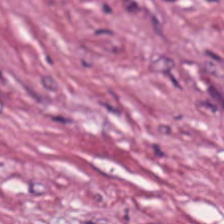Q: What is the predominant tissue type?
A: The field shows tumor-associated stroma.
